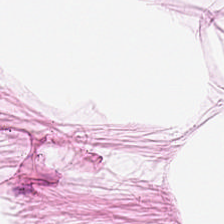Q: What is shown in this field?
A: The field shows adipocytes.
